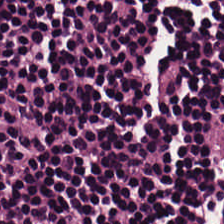H&E stain.
Q: What type of tissue is this?
A: This is lymphocytes.
